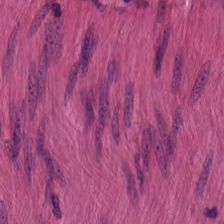Hematoxylin and eosin — Tissue — muscularis.
